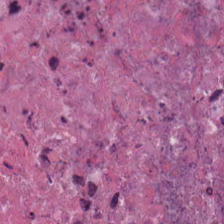The tissue here is debris.
